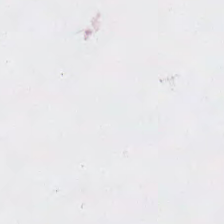Whole-slide-image patch; H&E.
No tissue present; background only.
